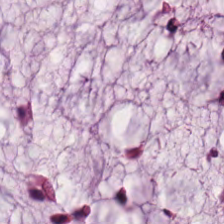H&E — mucus.
